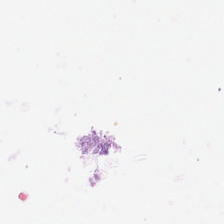The field content is no tissue.
